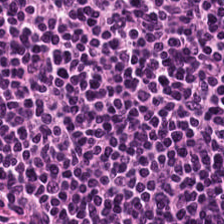0.5 microns per pixel. Hematoxylin-and-eosin stained section — The tissue class is lymphocytes.
